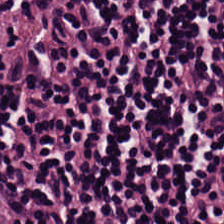Formalin-fixed paraffin-embedded section; H&E stain — This field is lymphocytic infiltrate.
